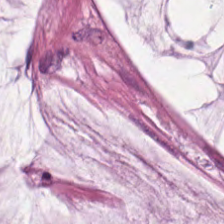Predominant tissue = mucus.
